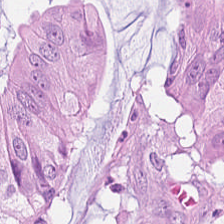The tissue class is malignant epithelium.
